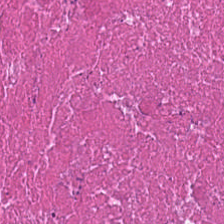H&E-stained tissue section — This field is debris.
